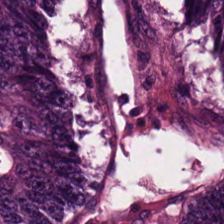The tissue type is adenocarcinoma.
